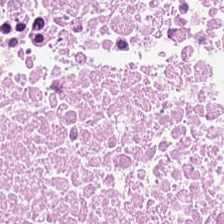H&E stain. 0.5 µm per pixel.
Tissue: debris.
